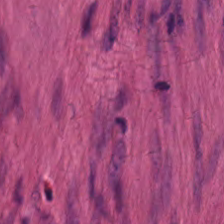FFPE tissue section; 0.5 microns per pixel; H&E — Histology → muscularis.
